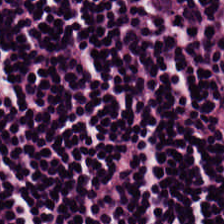FFPE tissue section · hematoxylin-and-eosin stained section.
Q: What is the predominant tissue type?
A: Lymphocytes.
